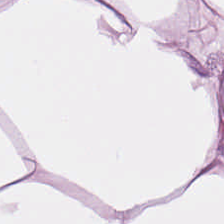Tissue: adipose.
